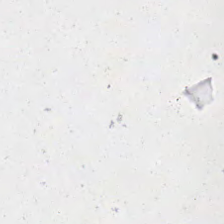H&E-stained tissue section — No tissue.
